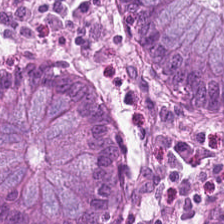Predominantly non-neoplastic colon mucosa.
